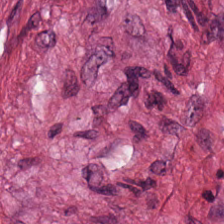H&E-stained section; the field shows cancer-associated stroma.
